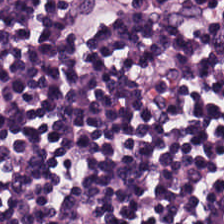H&E-stained tissue section showing lymphocytes.
